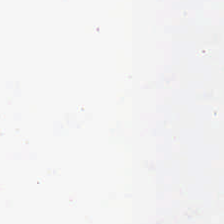H&E stain — Histology → empty background.
